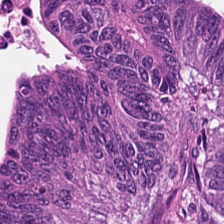Hematoxylin and eosin. Q: Classify this patch.
A: Tumor epithelium.
